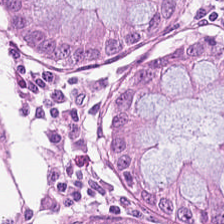Impression — benign colonic mucosa.
